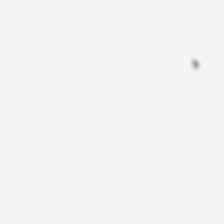0.5 microns per pixel. H&E-stained tissue section.
No tissue present; background only.
